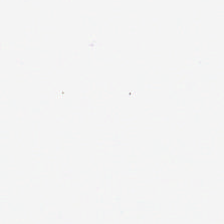Brightfield microscopy. Hematoxylin-and-eosin stained section — Empty field — background.
